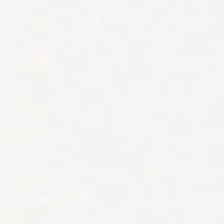WSI patch. Hematoxylin-and-eosin stained section. 224×224 px patch.
This field is background (no tissue).
